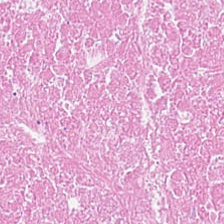Finding → debris.
